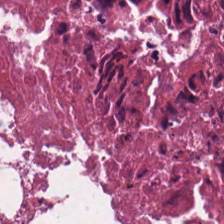H&E — debris.
